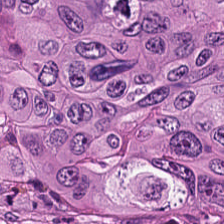H&E — Tissue = adenocarcinoma.
